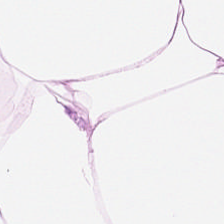H&E-stained tissue section.
Tissue class — adipose.
